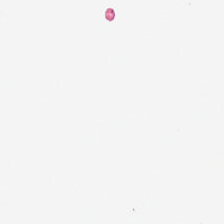H&E stain.
Q: What is shown in this field?
A: It is no tissue.
